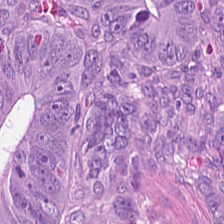Hematoxylin and eosin · FFPE tissue section.
Predominantly tumor epithelium.
